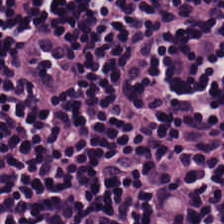H&E stain — The tissue here is lymphoid infiltrate.
